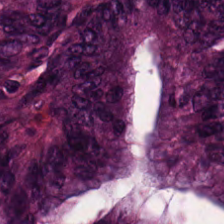Hematoxylin and eosin.
Colorectal adenocarcinoma epithelium.
